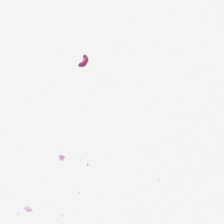Brightfield microscopy. Hematoxylin and eosin. Classification = no tissue.
